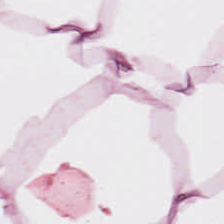H&E — Q: Identify the tissue.
A: Adipocytes.
